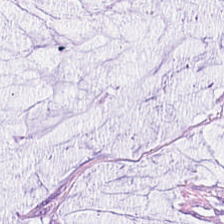Showing mucus.
